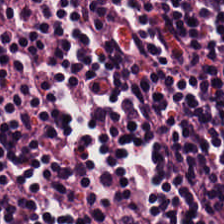Hematoxylin and eosin. The tissue here is lymphocytic infiltrate.
